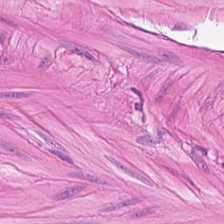Finding — smooth-muscle tissue.
